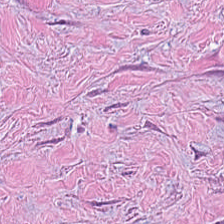H&E-stained tissue section · FFPE tissue section · 224×224 pixel tile. Showing tumor-associated stroma.
